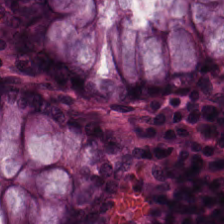H&E stain — Tissue type — normal colonic mucosa.
